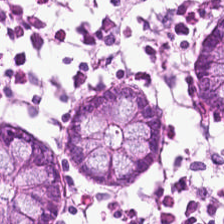H&E stain — Q: What tissue is shown?
A: It is non-neoplastic colon mucosa.
